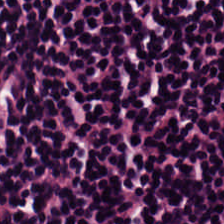The tissue here is lymphoid infiltrate.
